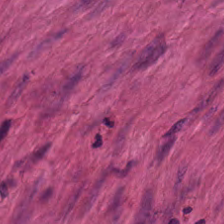This field is smooth-muscle tissue.
